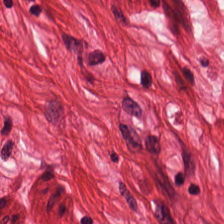0.5 µm per pixel. FFPE tissue section. H&E-stained tissue section.
Q: What is shown in this field?
A: The field shows smooth-muscle tissue.
